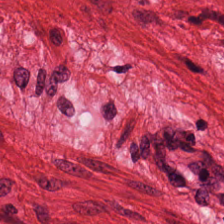H&E.
Q: What is the predominant tissue type?
A: This is smooth muscle.
